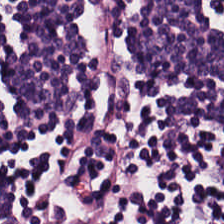H&E stain — This field is lymphocytic infiltrate.
